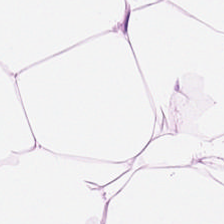H&E stain.
This patch shows fat tissue.
